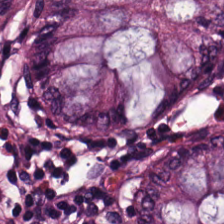Finding → normal colonic mucosa.
